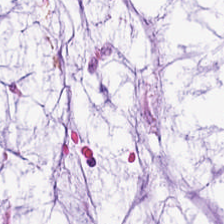H&E stain — Mucus.
